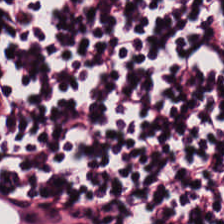Showing lymphocytic infiltrate.
